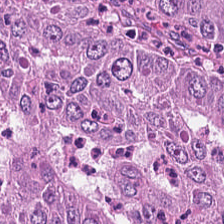WSI patch · H&E · 20× equivalent magnification — The tissue here is colorectal adenocarcinoma.
